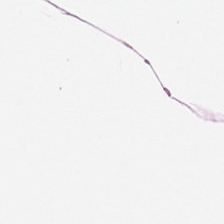H&E stain · 224×224 px tile — The tissue class is adipose tissue.
